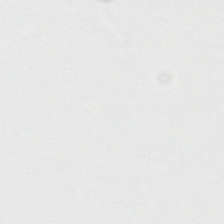20× equivalent magnification; hematoxylin-and-eosin stained section; 224×224 pixel tile. Classification = background.
